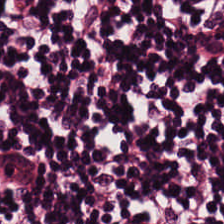Stain: hematoxylin and eosin.
Tissue type: lymphocytes.
